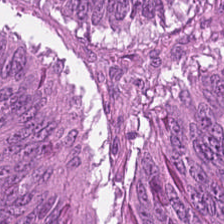H&E-stained tissue section. Impression → colorectal adenocarcinoma.
